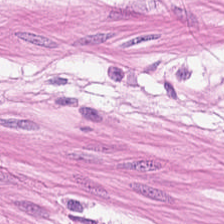Hematoxylin-and-eosin stained section. Formalin-fixed paraffin-embedded section. Q: What tissue is shown?
A: Smooth-muscle tissue.
